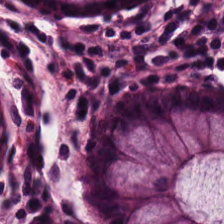H&E. Brightfield. FFPE tissue section. Tissue type: non-neoplastic colon mucosa.
